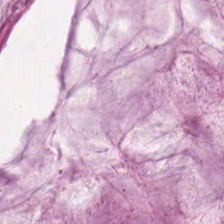Hematoxylin-and-eosin stained section · formalin-fixed paraffin-embedded section. {"tissue_type": "mucin"}
